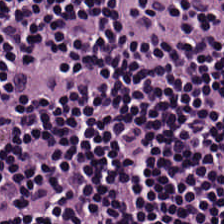H&E.
Finding → lymphocytic infiltrate.
